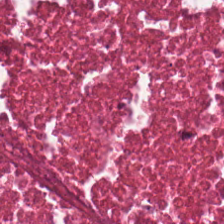H&E.
Q: What is the predominant tissue type?
A: The field shows debris.
